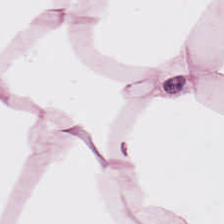{"tissue_type": "adipose tissue"}
